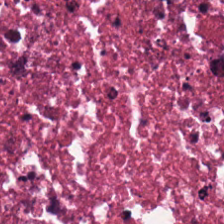Hematoxylin-and-eosin stained section · WSI patch. This field is debris.
